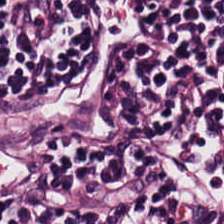H&E stain; FFPE; 0.5 microns per pixel. The tissue here is lymphoid infiltrate.
